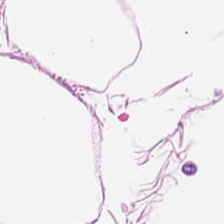H&E stain.
Predominantly fat tissue.
